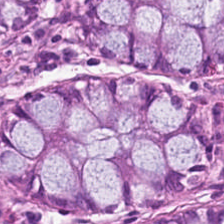Formalin-fixed paraffin-embedded section; 0.5 microns per pixel; H&E stain.
This field is benign colonic mucosa.
